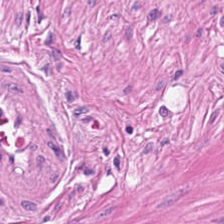Formalin-fixed paraffin-embedded section. Hematoxylin-and-eosin stained section. Showing muscularis.
